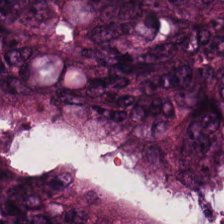Hematoxylin-and-eosin stained section. Tissue = malignant epithelium.
